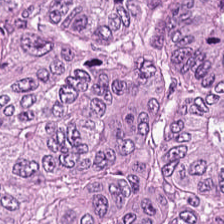Hematoxylin and eosin; 0.5 µm/px — This field is colorectal adenocarcinoma.
